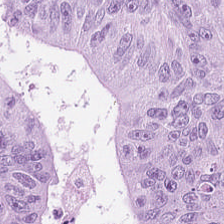Hematoxylin and eosin. The tissue here is tumor epithelium.
